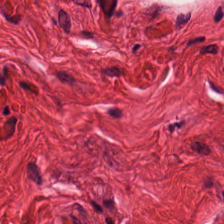H&E stain.
Muscularis.
